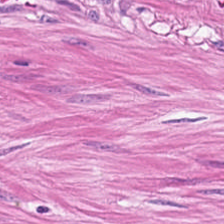Stain: H&E stain.
Preparation: formalin-fixed paraffin-embedded section.
Tissue type: smooth muscle.
